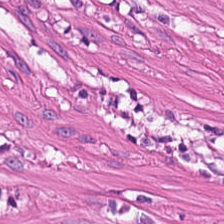Finding — muscularis.
